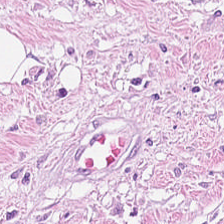Stain: H&E-stained tissue section.
Predominant tissue: cancer-associated stroma.
